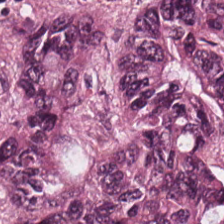Hematoxylin and eosin — Q: What type of tissue is this?
A: This is tumor epithelium.
